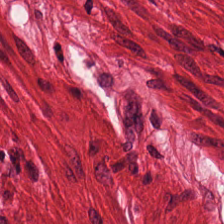Stain: H&E.
Tile size: 224×224 px patch.
Tissue type: smooth muscle.
